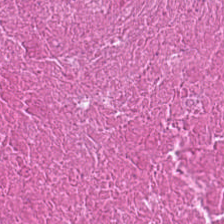H&E-stained tissue section. 224×224 px tile.
Showing debris.
